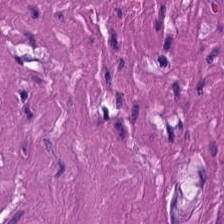The tissue here is smooth muscle.
